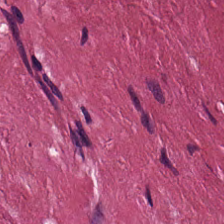H&E-stained tissue section — The predominant tissue is tumor-associated stroma.
